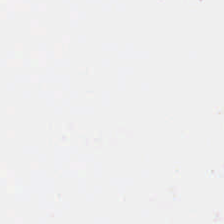H&E stain.
This field is background (no tissue).
